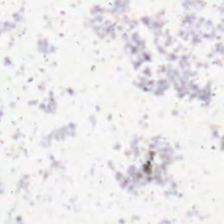H&E-stained tissue section. WSI patch — Field content: background.
